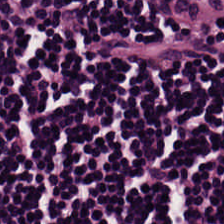Hematoxylin and eosin.
{"tissue_type": "lymphocytic infiltrate"}
